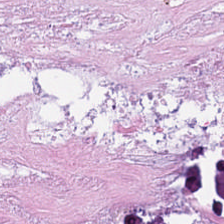Hematoxylin-and-eosin stained section — Impression — cellular debris.
